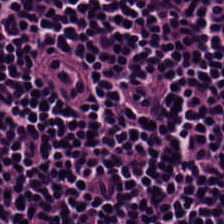H&E-stained tissue section showing lymphocyte aggregate.
